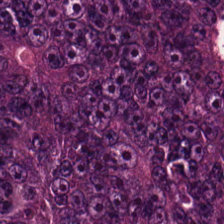Predominant tissue = colorectal adenocarcinoma.
